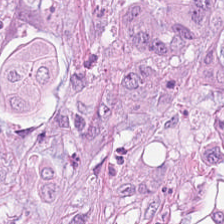Stain: H&E-stained tissue section.
Acquisition: WSI patch.
Classification: colorectal adenocarcinoma.
